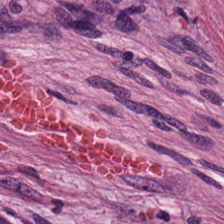Hematoxylin-and-eosin stained section. Tissue = cancer-associated stroma.
